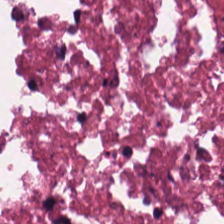This field is debris.
